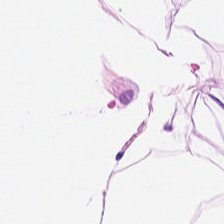The tissue here is adipocytes.
